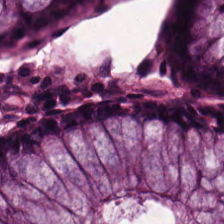Hematoxylin and eosin — Normal colonic mucosa.
